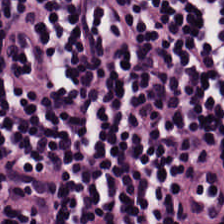H&E. Tissue class: lymphocytic infiltrate.
